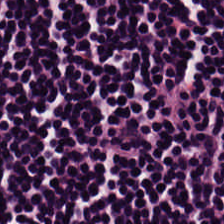H&E stain.
Lymphocytes.
